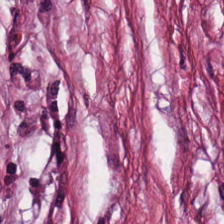Hematoxylin-and-eosin stained section — Q: What is shown in this field?
A: Tumor-associated stroma.
